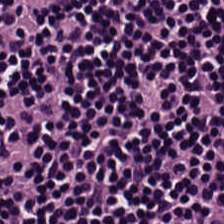H&E stain. Classification: lymphoid infiltrate.
